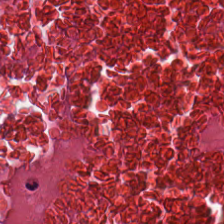FFPE tissue section. Hematoxylin-and-eosin stained section — Impression → debris.
